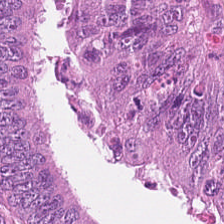H&E — Colorectal adenocarcinoma epithelium.
